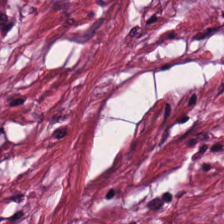H&E stain — Tissue type — desmoplastic stroma.
